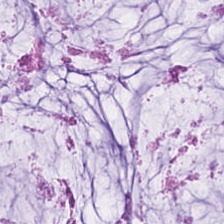Tissue class: extracellular mucin.
